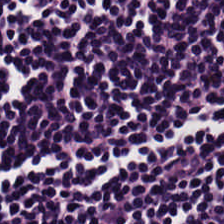H&E stain. 20× equivalent magnification. Brightfield. Q: What tissue is shown?
A: This is lymphoid infiltrate.
